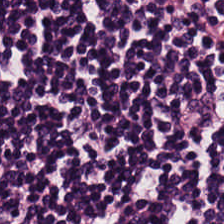The tissue is lymphocytes.
